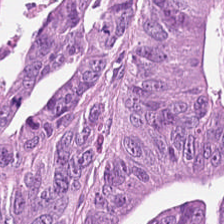224×224 pixel tile. Hematoxylin and eosin — Showing malignant epithelium.
